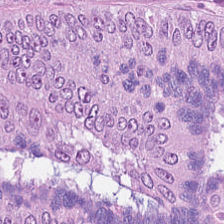Hematoxylin-and-eosin stained section. Q: Classify this patch.
A: The field shows colorectal adenocarcinoma.
